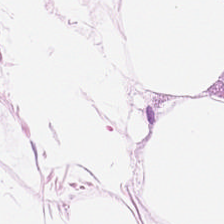Predominant tissue — adipose tissue.
